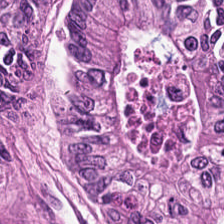H&E-stained tissue section — Q: What does this patch show?
A: The field shows colorectal adenocarcinoma epithelium.
